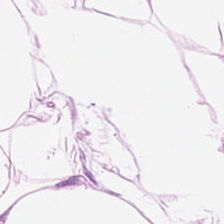Stain: H&E-stained tissue section.
Tissue: adipose.
